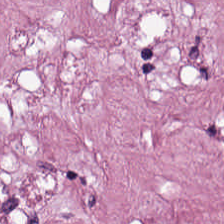Hematoxylin-and-eosin stained section. The predominant tissue is desmoplastic stroma.
